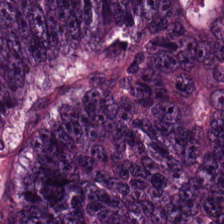H&E. Adenocarcinoma.
